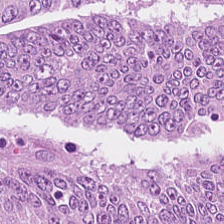Tissue type — adenocarcinoma.
